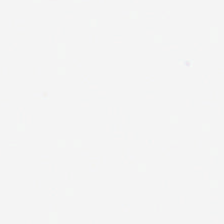Hematoxylin-and-eosin stained section — Content: background.
